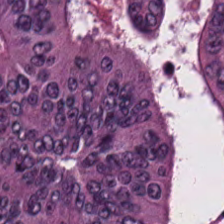Hematoxylin and eosin.
Q: Identify the tissue.
A: Malignant epithelium.
